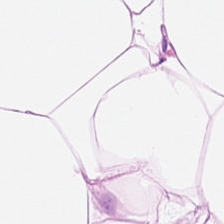Tissue class: adipose.
